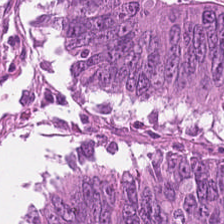Stain: H&E-stained tissue section.
Tissue type: colorectal adenocarcinoma epithelium.
